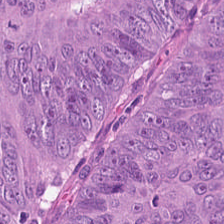Tissue class: colorectal adenocarcinoma epithelium.
